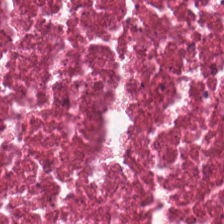Showing cellular debris.
